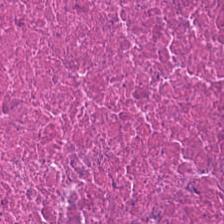Stain: H&E.
Predominant tissue: cellular debris.
